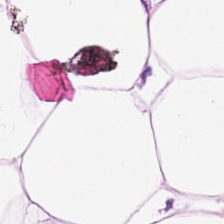H&E — Showing adipose tissue.
